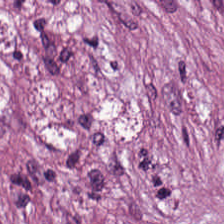The tissue here is tumor-associated stroma.
